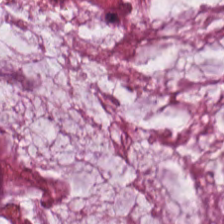H&E — Q: What tissue is shown?
A: Mucus.
